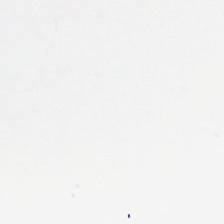Hematoxylin-and-eosin stained section. 0.5 microns per pixel — Field content = empty background.
